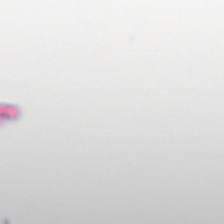H&E stain. FFPE. Brightfield.
Finding → empty background.
